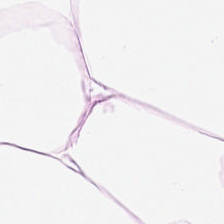0.5 µm/px. H&E. Whole-slide-image patch.
{"tissue_type": "adipose tissue"}
